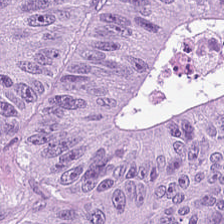224×224 pixel tile; H&E-stained tissue section — Predominant tissue: adenocarcinoma.
